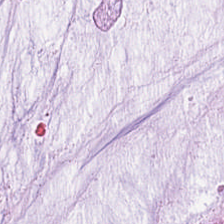Hematoxylin-and-eosin stained section — {"tissue_type": "extracellular mucin"}
